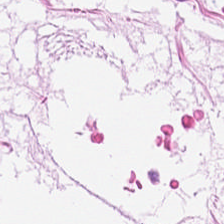Stain: hematoxylin and eosin.
Predominant tissue: adipocytes.
